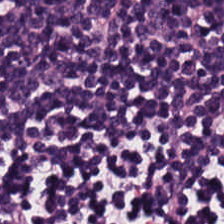Hematoxylin-and-eosin stained section. Q: What is shown here?
A: Lymphoid infiltrate.
